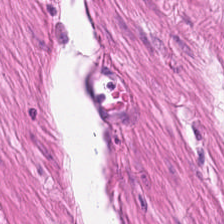Hematoxylin-and-eosin stained section.
The tissue type is smooth muscle.
